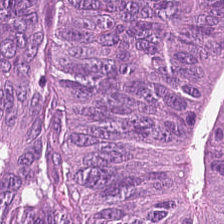Q: What is shown here?
A: The field shows malignant epithelium.
